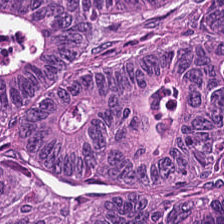FFPE tissue section · hematoxylin-and-eosin stained section — Tissue type — malignant epithelium.
